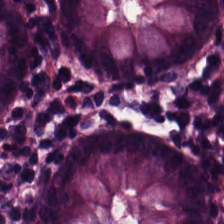Stain: hematoxylin and eosin.
Classification: normal colon mucosa.
